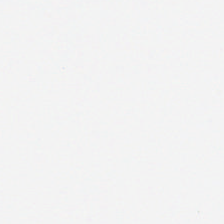Whole-slide-image patch · H&E-stained tissue section · FFPE tissue section — Q: Classify this patch.
A: It is background.
